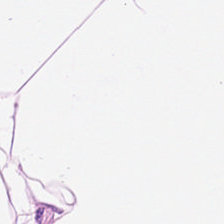Stain: hematoxylin-and-eosin stained section.
Tile size: 224×224 px patch.
Classification: fat tissue.
